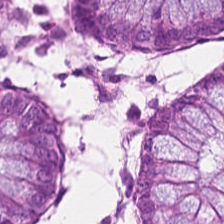Stain: hematoxylin and eosin.
Tissue: normal colonic mucosa.
